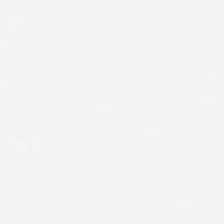No tissue present; background only.
